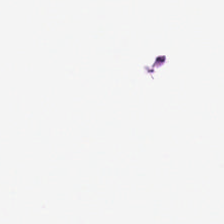H&E stain; 0.5 microns per pixel.
Classification — empty background.
